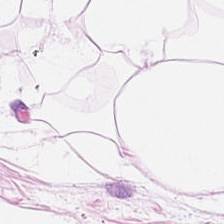H&E-stained tissue section showing adipocytes.
